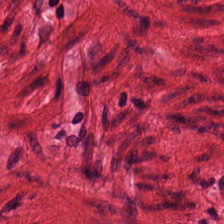H&E stain — Histology — smooth muscle.
